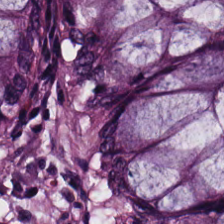Brightfield; 20× equivalent magnification; hematoxylin and eosin. The classification is normal colon mucosa.
